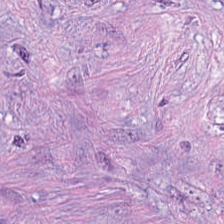Finding — cancer-associated stroma.
